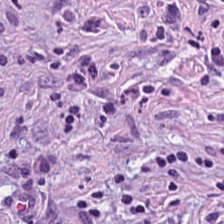Hematoxylin-and-eosin stained section — {"tissue_type": "desmoplastic stroma"}
